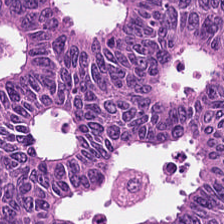H&E-stained tissue section. The predominant tissue is adenocarcinoma.
